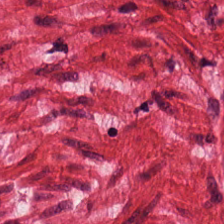H&E-stained tissue section.
Tissue class: smooth-muscle tissue.
